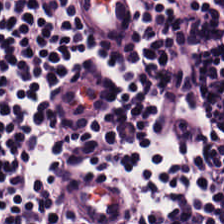H&E-stained tissue section. 224×224 pixel tile. The tissue type is lymphocytes.
